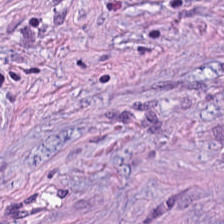H&E-stained tissue section — {"tissue_type": "desmoplastic stroma"}
